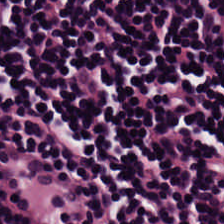Hematoxylin and eosin — The predominant tissue is lymphoid infiltrate.
